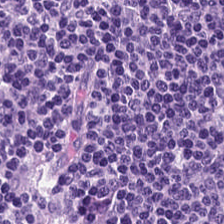0.5 µm/px; FFPE tissue section; H&E — Showing lymphocytic infiltrate.
